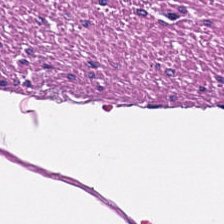Histology → muscularis.
